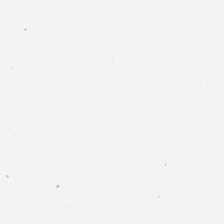Hematoxylin and eosin. Q: What does this patch show?
A: Background.
